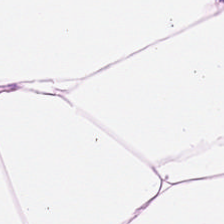H&E stain.
The tissue is adipose tissue.
